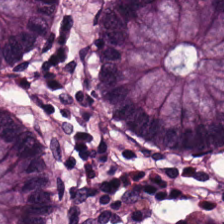The tissue here is normal colon mucosa.
